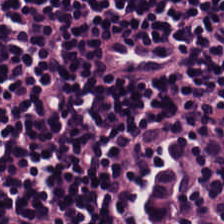Stain: hematoxylin and eosin.
Tissue class: lymphoid infiltrate.
